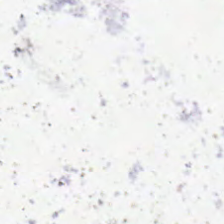0.5 microns per pixel · hematoxylin and eosin — Classification — no tissue.
